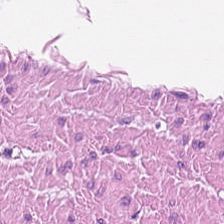Hematoxylin-and-eosin stained section — Showing smooth-muscle tissue.
